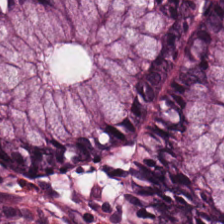H&E-stained tissue section; 20× equivalent magnification.
Tissue type = benign colonic mucosa.
